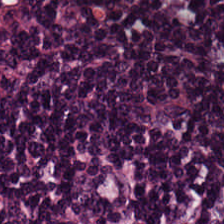H&E-stained tissue section.
The predominant tissue is lymphocytic infiltrate.
